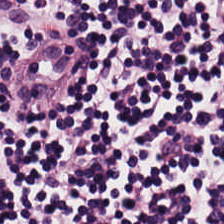H&E stain.
Predominant tissue — lymphocyte aggregate.
